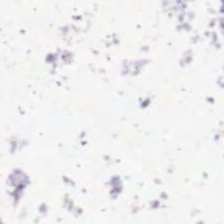Hematoxylin and eosin · WSI patch.
Q: What does this patch show?
A: This is empty background.
